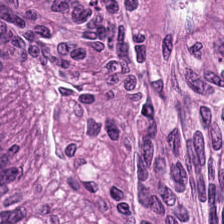FFPE; hematoxylin-and-eosin stained section.
The classification is malignant epithelium.
